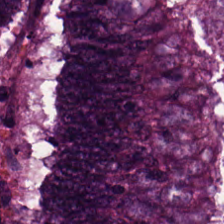FFPE · H&E stain · 0.5 µm/px.
Tissue class = colorectal adenocarcinoma.
